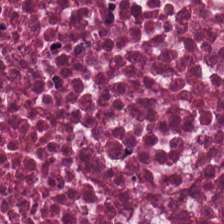Brightfield; hematoxylin and eosin; 224×224 px patch — Showing debris.
